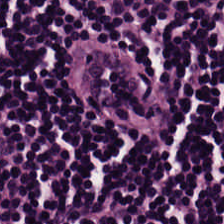Hematoxylin and eosin.
Predominant tissue = lymphocytic infiltrate.
